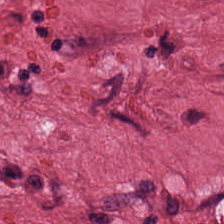H&E.
Predominant tissue = tumor stroma.
